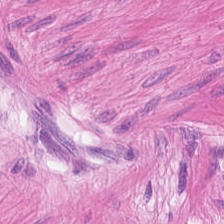Brightfield microscopy; H&E-stained tissue section; 224×224 px tile — Q: Classify this patch.
A: It is smooth muscle.
